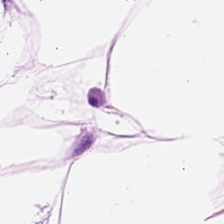Finding — fat tissue.
